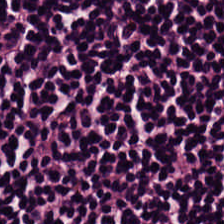H&E stain. Tissue class: lymphocyte aggregate.
